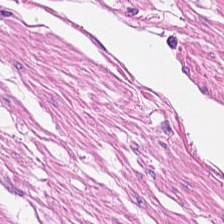Hematoxylin and eosin. FFPE — Showing smooth-muscle tissue.
